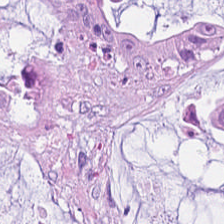Hematoxylin-and-eosin stained section. Classification = extracellular mucin.
